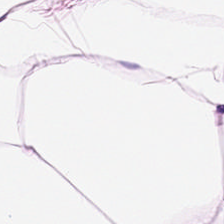Histology — adipocytes.
